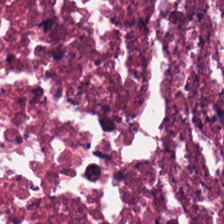Tissue class: cellular debris.
